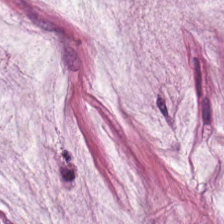Hematoxylin and eosin.
The tissue class is extracellular mucin.
